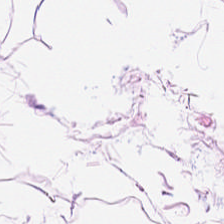H&E-stained section; the field shows fat tissue.
